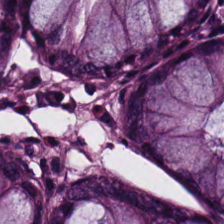Formalin-fixed paraffin-embedded section · hematoxylin and eosin.
Tissue class — normal colon mucosa.
